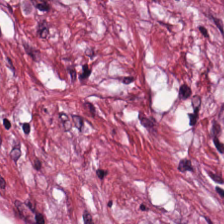WSI patch · 224×224 px tile · hematoxylin-and-eosin stained section. The predominant tissue is tumor stroma.
